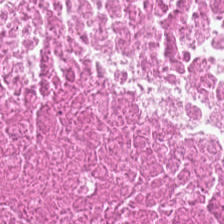H&E stain.
The tissue here is necrotic debris.
